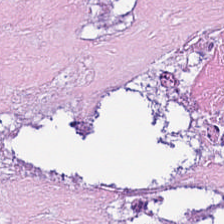H&E — Showing cellular debris.
